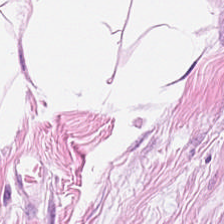Tissue class = adipose.
